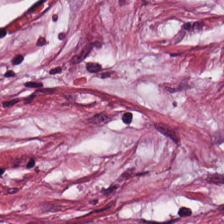H&E. The tissue here is desmoplastic stroma.
